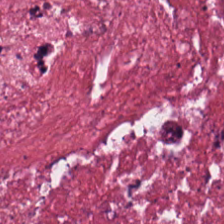WSI patch. Hematoxylin-and-eosin stained section. 224×224 px patch. The predominant tissue is tumor stroma.
